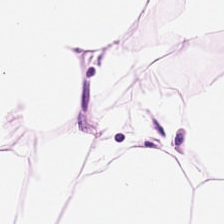0.5 microns per pixel; H&E.
Q: What does this patch show?
A: It is fat tissue.
